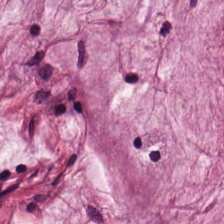H&E — Predominant tissue = mucus.
